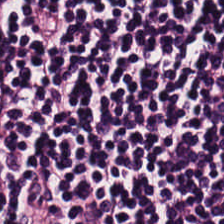WSI patch. 224×224 pixel tile. Hematoxylin and eosin — Finding — lymphocyte aggregate.
